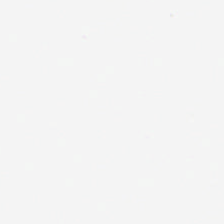Q: What is shown here?
A: It is empty background.
